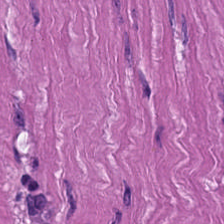Histology — smooth muscle.
